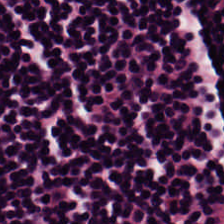Hematoxylin-and-eosin stained section — Predominantly lymphocyte aggregate.
